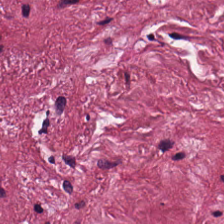Brightfield microscopy; H&E-stained tissue section. Histology → desmoplastic stroma.
